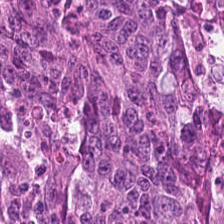0.5 µm/px. Hematoxylin and eosin. Predominant tissue — adenocarcinoma.
